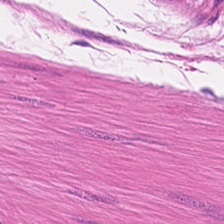H&E stain. This field is smooth muscle.
